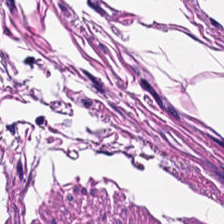Hematoxylin and eosin — The predominant tissue is muscularis.
